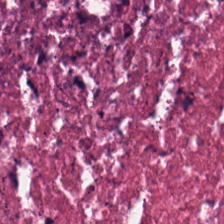Classification: cellular debris.
